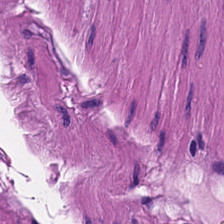H&E.
Q: Classify this patch.
A: This is muscularis.
